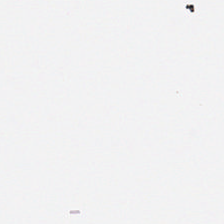Hematoxylin and eosin — Empty field — no tissue.
